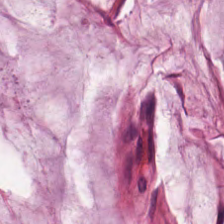Hematoxylin and eosin — Tissue type = mucus.
